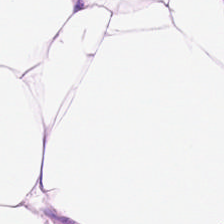Hematoxylin-and-eosin stained section · 0.5 microns per pixel.
Predominantly adipose.
